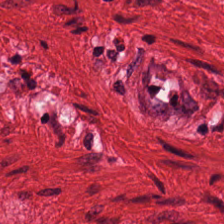H&E-stained section; the field shows smooth-muscle tissue.
